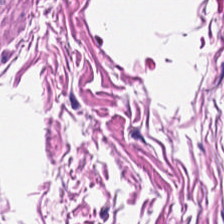Formalin-fixed paraffin-embedded section · hematoxylin-and-eosin stained section — Tissue type = muscularis.
